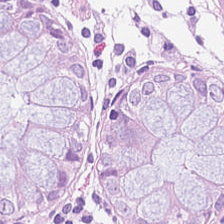H&E-stained tissue section.
Classification — normal colon mucosa.
